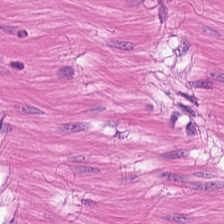H&E. This field is smooth muscle.
